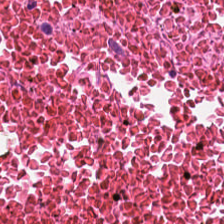Hematoxylin-and-eosin stained section — Showing cellular debris.
